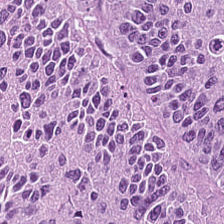224×224 px patch · H&E-stained tissue section. Q: Classify this patch.
A: It is adenocarcinoma.
